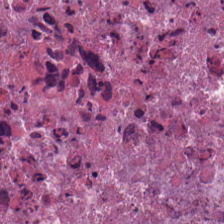H&E; WSI patch; FFPE tissue section.
The tissue here is debris.
